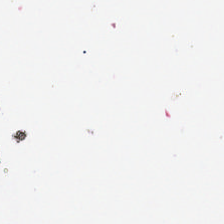WSI patch · H&E.
Empty background.
